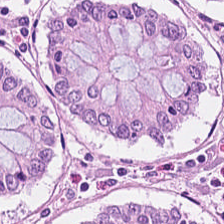H&E. FFPE.
Normal colon mucosa.
